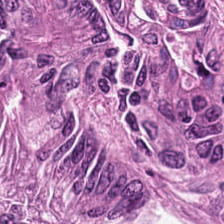The tissue here is adenocarcinoma.
